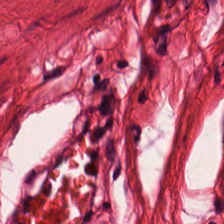FFPE tissue section; hematoxylin and eosin. Q: What tissue is shown?
A: Smooth-muscle tissue.
